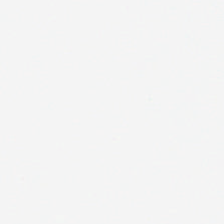Impression → background.
